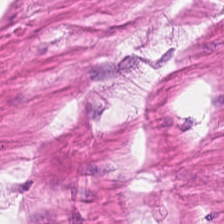H&E stain · whole-slide-image patch.
Showing smooth muscle.
